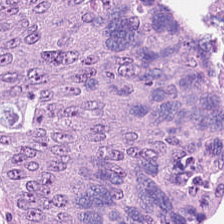H&E stain — Q: What type of tissue is this?
A: The field shows malignant epithelium.
